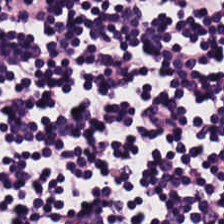Predominantly lymphocyte aggregate.
